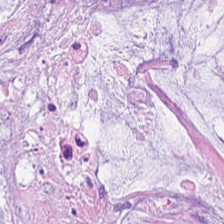Stain: hematoxylin and eosin.
Acquisition: whole-slide-image patch.
Resolution: 0.5 microns per pixel.
Tissue: mucus.
